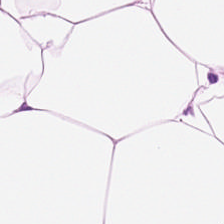Stain: hematoxylin and eosin.
Tile size: 224×224 px tile.
Tissue class: adipose.
